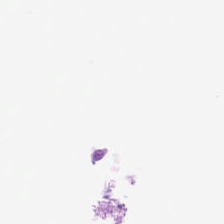H&E-stained tissue section.
Q: What is shown in this field?
A: The field shows background (no tissue).
